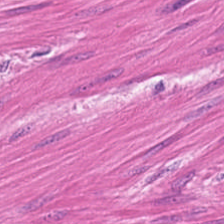224×224 px tile · H&E · 20× equivalent magnification.
Showing smooth muscle.
